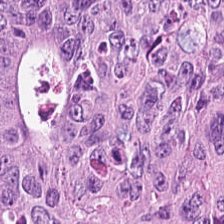224×224 pixel tile; hematoxylin and eosin.
Q: What type of tissue is this?
A: This is malignant epithelium.
